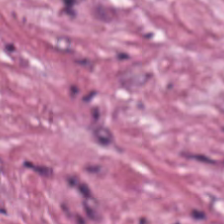WSI patch. H&E stain.
Desmoplastic stroma.
